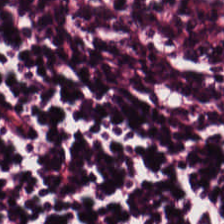H&E. Predominantly lymphocytes.
